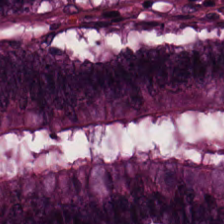H&E-stained tissue section. {"tissue_type": "benign colonic mucosa"}
